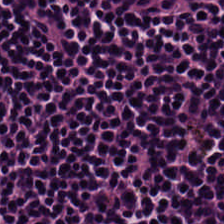H&E stain; 20× equivalent magnification; whole-slide-image patch — Q: What is the predominant tissue type?
A: It is lymphoid infiltrate.
